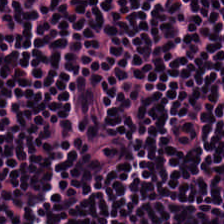The predominant tissue is lymphocytic infiltrate.
